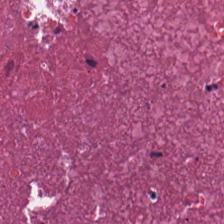Hematoxylin-and-eosin stained section.
The tissue here is debris.
